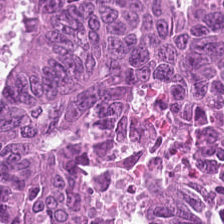H&E-stained tissue section · 224×224 px patch.
Impression → malignant epithelium.
